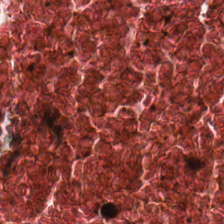H&E-stained tissue section. 224×224 px patch — Q: What does this patch show?
A: The field shows necrotic debris.
